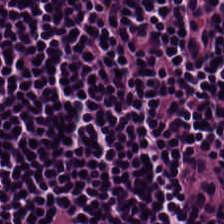Predominant tissue — lymphocyte aggregate.
